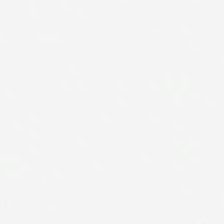H&E. This patch shows empty background.
